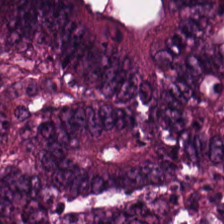0.5 microns per pixel. H&E stain. The predominant tissue is colorectal adenocarcinoma.
